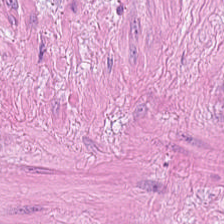Hematoxylin and eosin; 224×224 px tile; 20× equivalent magnification — Classification = smooth muscle.
